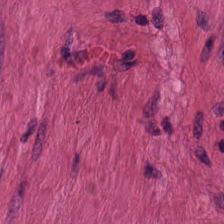Q: What tissue type is shown here?
A: It is muscularis.
